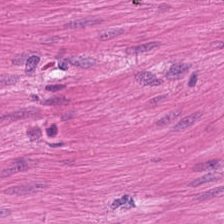Showing smooth-muscle tissue.
